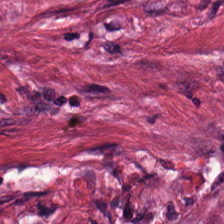Stain: hematoxylin and eosin.
Resolution: 0.5 µm per pixel.
Acquisition: brightfield.
Tissue: tumor-associated stroma.
